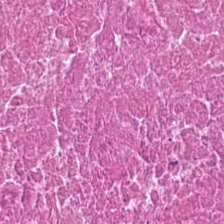Stain: H&E.
Resolution: 0.5 µm/px.
Tile size: 224×224 px tile.
Tissue class: debris.
